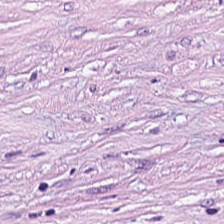Hematoxylin and eosin. Tissue type = desmoplastic stroma.
